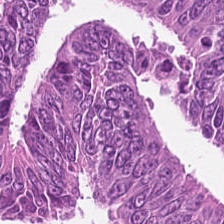H&E-stained tissue section · FFPE tissue section · 20× equivalent magnification — Tissue class = adenocarcinoma.
